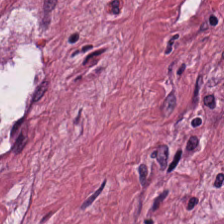Hematoxylin and eosin. Finding — tumor-associated stroma.
